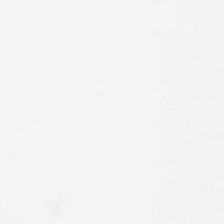Hematoxylin-and-eosin stained section — Empty field — background.
